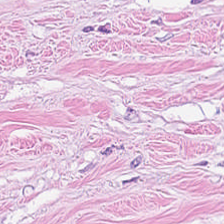H&E. The tissue here is desmoplastic stroma.
